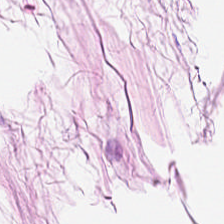Stain: H&E.
Tissue class: fat tissue.
